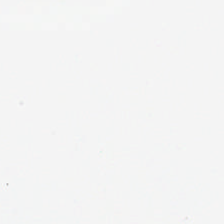H&E-stained tissue section.
No tissue present; background only.
